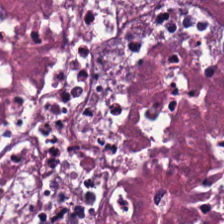H&E stain. Tissue type = necrotic debris.
